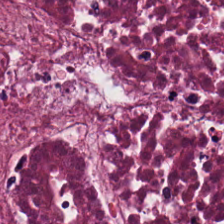H&E stain.
Q: What type of tissue is this?
A: It is cellular debris.
